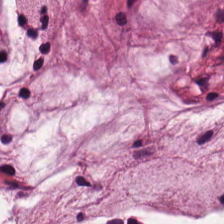Stain: hematoxylin-and-eosin stained section.
Predominant tissue: mucus.
